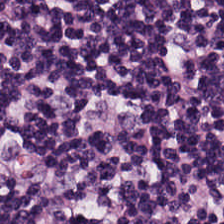Lymphoid infiltrate.
